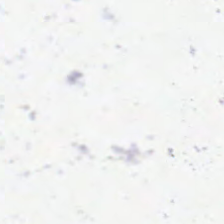Background (no tissue).
